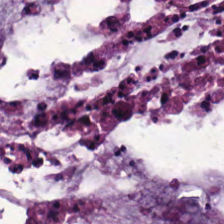Stain: hematoxylin and eosin.
Tissue type: mucus.
